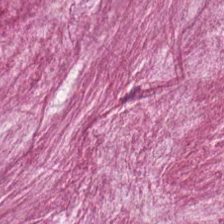Brightfield microscopy · hematoxylin-and-eosin stained section — This field is mucin.
